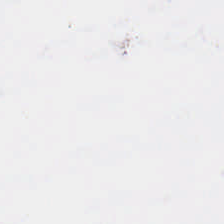Impression → background (no tissue).
